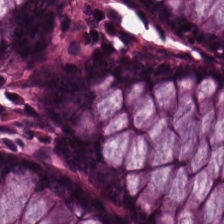224×224 pixel tile. Hematoxylin-and-eosin stained section — {"tissue_type": "normal colonic mucosa"}
